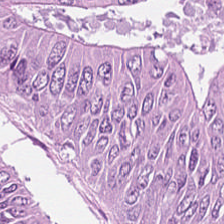Stain: hematoxylin and eosin.
Preparation: FFPE.
Acquisition: WSI patch.
Classification: adenocarcinoma.
